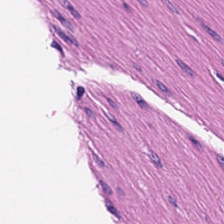224×224 px tile. H&E. Brightfield.
Impression → smooth muscle.
